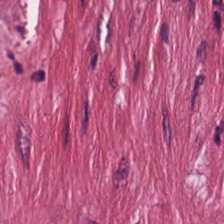Histology — tumor-associated stroma.
